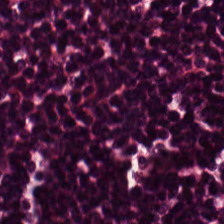Impression → lymphocytes.
